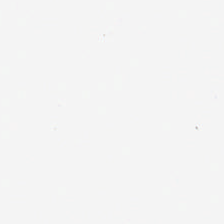Stain: hematoxylin-and-eosin stained section.
Field content: empty background.
